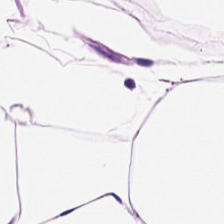Whole-slide-image patch; hematoxylin-and-eosin stained section. Q: What is shown in this field?
A: It is adipose tissue.
